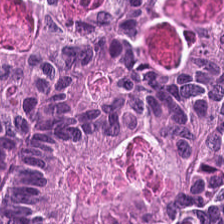Hematoxylin and eosin.
Malignant epithelium.
